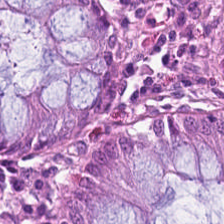{"tissue_type": "normal colonic mucosa"}
